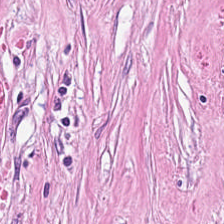Hematoxylin-and-eosin stained section. This field is desmoplastic stroma.
